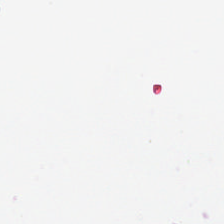The field content is background.
